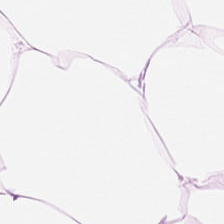H&E. 0.5 µm per pixel. Brightfield microscopy — The tissue here is adipocytes.
